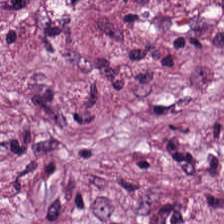Brightfield microscopy; 224×224 px patch; hematoxylin and eosin.
Predominantly tumor stroma.
